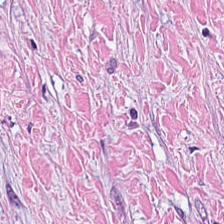H&E-stained tissue section — The tissue type is tumor stroma.
